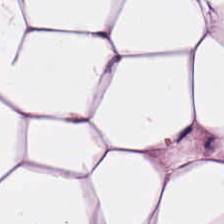Hematoxylin and eosin; brightfield — Q: Identify the tissue.
A: It is fat tissue.
